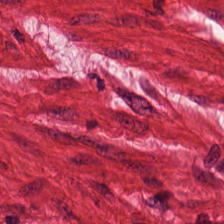20× equivalent magnification. H&E-stained tissue section. This field is muscularis.
